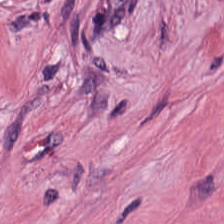Hematoxylin-and-eosin stained section. {"tissue_type": "tumor stroma"}
